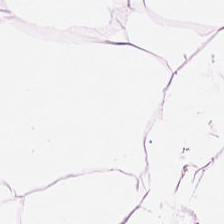H&E stain.
Tissue type: adipose.
